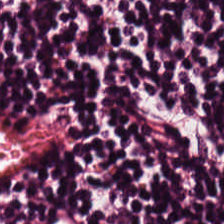H&E. Finding → lymphocytes.
